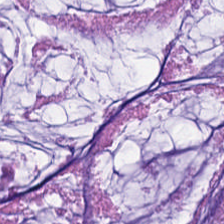Stain: H&E.
Preparation: FFPE.
Classification: extracellular mucin.
